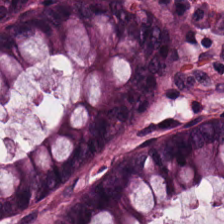H&E-stained tissue section — Histology — normal colonic mucosa.
